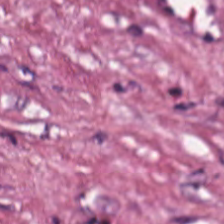Hematoxylin-and-eosin stained section.
This field is tumor stroma.
